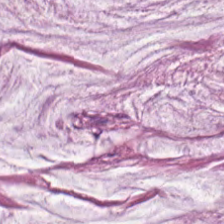Stain: H&E-stained tissue section.
Classification: mucus.
